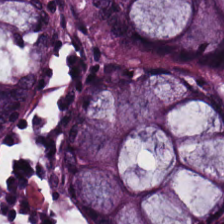Hematoxylin and eosin. The tissue is non-neoplastic colon mucosa.
